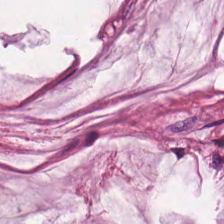Showing mucin.
